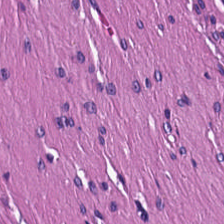The predominant tissue is smooth muscle.
